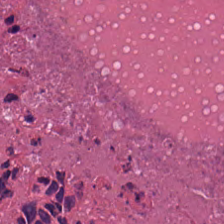H&E-stained tissue section · 20× equivalent magnification · FFPE.
Tissue = cellular debris.
